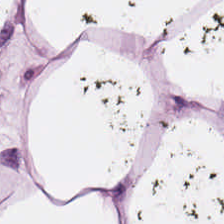Formalin-fixed paraffin-embedded section. H&E. Brightfield — {"tissue_type": "adipose tissue"}
